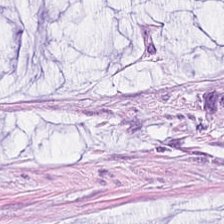Stain: H&E-stained tissue section.
Tissue: mucus.
